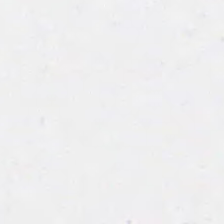Stain: H&E.
Tile size: 224×224 pixel tile.
Content: background.
